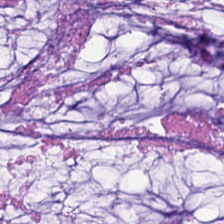Hematoxylin-and-eosin stained section. This field is mucin.
